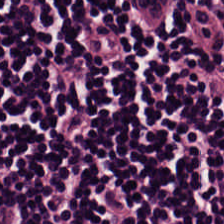Stain: hematoxylin-and-eosin stained section.
Tissue type: lymphocytic infiltrate.
